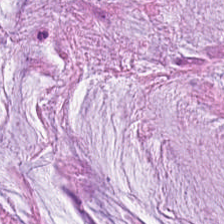FFPE tissue section; brightfield microscopy; H&E.
{"tissue_type": "mucus"}
